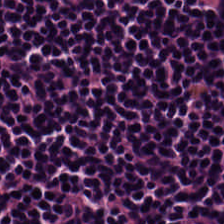Whole-slide-image patch; 224×224 pixel tile; hematoxylin and eosin. Finding → lymphocyte aggregate.
